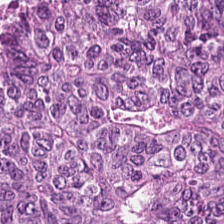{"tissue_type": "malignant epithelium"}
